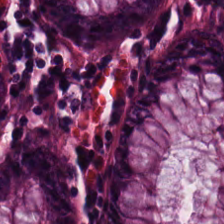Hematoxylin-and-eosin stained section.
Finding → benign colonic mucosa.
